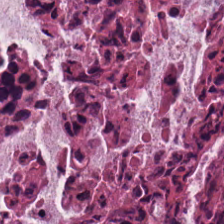H&E stain.
Classification — necrotic debris.
